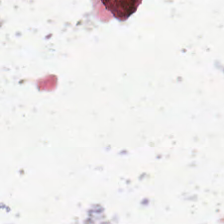H&E-stained tissue section.
Finding → background.
